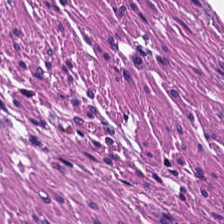Whole-slide-image patch. Hematoxylin-and-eosin stained section. 20× equivalent magnification. Predominant tissue = smooth muscle.
